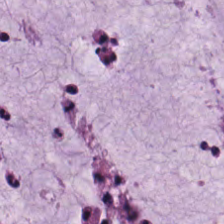H&E-stained tissue section; 224×224 px tile.
Impression → mucin.
